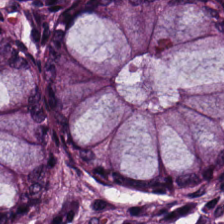H&E.
Q: What type of tissue is this?
A: The field shows normal colon mucosa.
